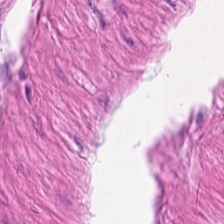H&E stain.
{"tissue_type": "muscularis"}
